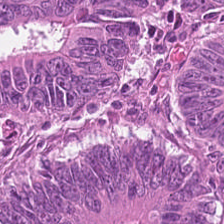H&E. 224×224 px tile. Whole-slide-image patch — Tissue class: tumor epithelium.
